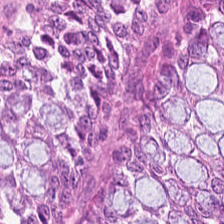Showing benign colonic mucosa.
